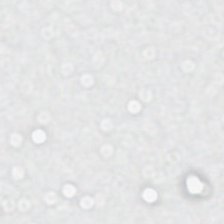{"content": "background (no tissue)"}
